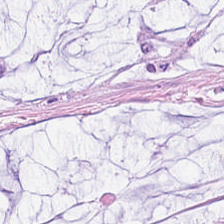Hematoxylin and eosin · 224×224 px tile — Q: What is the predominant tissue type?
A: This is mucin.
